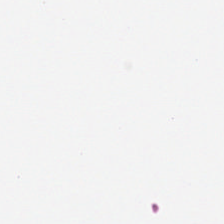Brightfield. 20× equivalent magnification. H&E-stained tissue section — Finding → background (no tissue).
